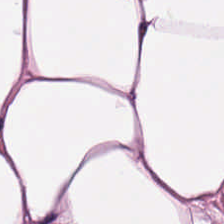0.5 µm per pixel. Hematoxylin and eosin.
Tissue class — adipocytes.
